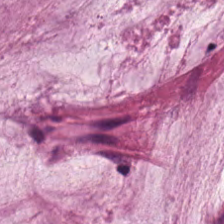H&E stain. The predominant tissue is mucin.
